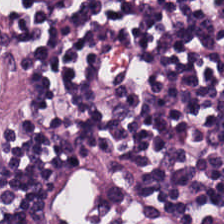Hematoxylin and eosin. 0.5 microns per pixel. 224×224 pixel tile.
Classification: lymphocytic infiltrate.
